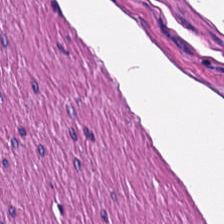Stain: hematoxylin-and-eosin stained section.
Resolution: 0.5 µm/px.
Tissue class: muscularis.
